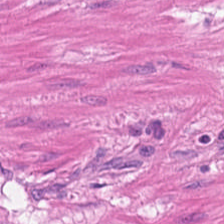{"tissue_type": "muscularis"}
